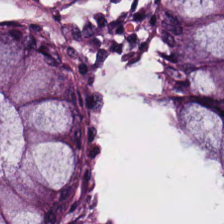0.5 µm per pixel; brightfield microscopy; hematoxylin and eosin. Tissue — normal colon mucosa.
